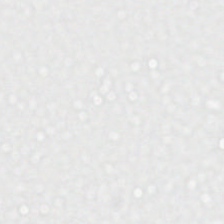Hematoxylin and eosin. Impression — empty background.
